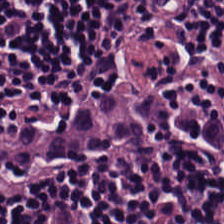Brightfield microscopy. H&E stain.
Showing lymphocyte aggregate.
